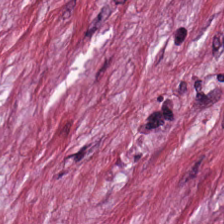H&E stain · brightfield. Predominant tissue — desmoplastic stroma.
